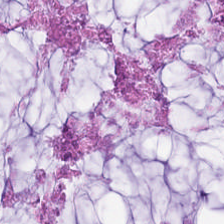H&E stain — Tissue class — mucus.
